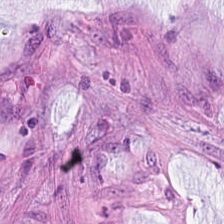FFPE tissue section; hematoxylin-and-eosin stained section — The predominant tissue is mucin.
